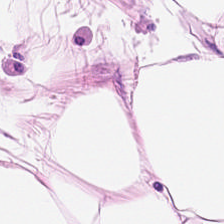Hematoxylin-and-eosin stained section.
Classification — adipose.
